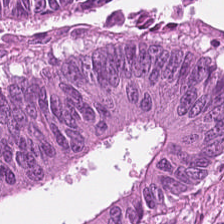224×224 pixel tile · FFPE tissue section · hematoxylin-and-eosin stained section — The predominant tissue is colorectal adenocarcinoma.
